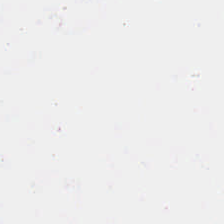Hematoxylin and eosin. 224×224 px patch — The field content is no tissue.
